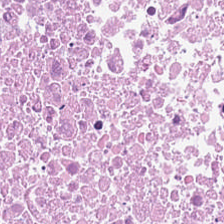H&E stain.
Tissue class — debris.
